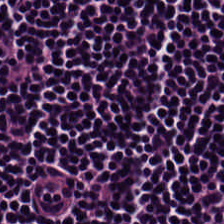Q: What tissue type is shown here?
A: Lymphocytic infiltrate.
